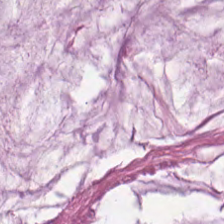H&E stain.
Impression — mucin.
